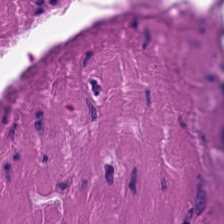H&E stain · 0.5 microns per pixel — Finding — smooth-muscle tissue.
